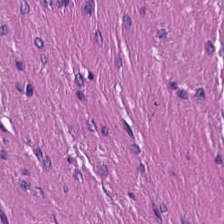Q: What type of tissue is this?
A: Smooth muscle.
